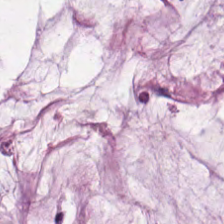224×224 px tile · H&E stain — Mucin.
